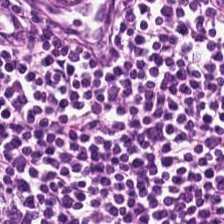Q: What does this patch show?
A: The field shows lymphocytes.
